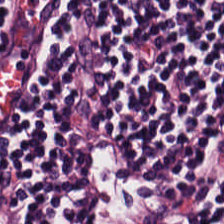Hematoxylin and eosin. 20× equivalent magnification.
Tissue class: lymphocyte aggregate.
